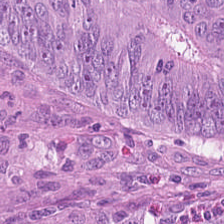H&E. The tissue class is malignant epithelium.
